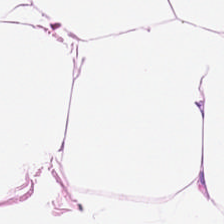Hematoxylin-and-eosin stained section · FFPE · 0.5 µm per pixel.
Tissue — adipose.
